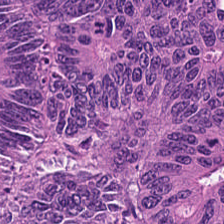H&E stain — Tissue type — adenocarcinoma.
